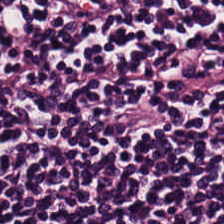H&E-stained tissue section — This patch shows lymphocytes.
